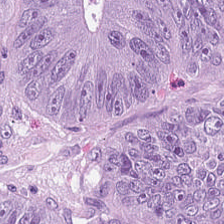Hematoxylin and eosin.
{"tissue_type": "malignant epithelium"}
